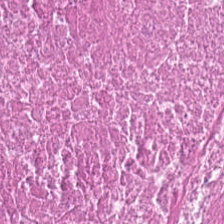Hematoxylin-and-eosin stained section · whole-slide-image patch — The tissue class is debris.
